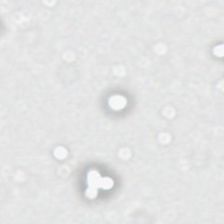Hematoxylin and eosin. Q: What is shown here?
A: No tissue.
